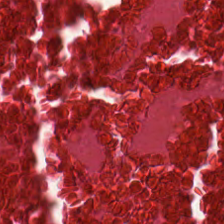H&E; 224×224 px tile.
Cellular debris.
